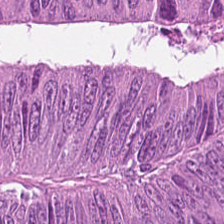Stain: H&E stain.
Tissue class: adenocarcinoma.
